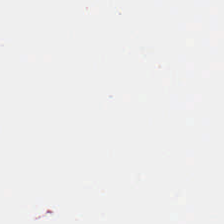H&E. Formalin-fixed paraffin-embedded section. Histology → no tissue.
